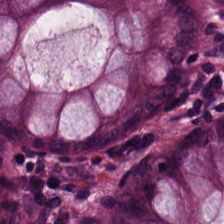Impression — non-neoplastic colon mucosa.
